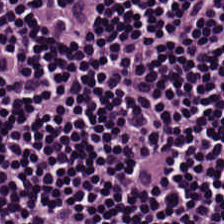H&E-stained tissue section. 20× equivalent magnification.
Q: What is shown here?
A: It is lymphocytic infiltrate.
